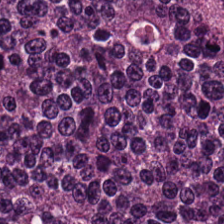H&E-stained tissue section — The tissue is malignant epithelium.
